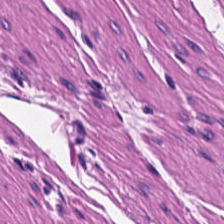Hematoxylin and eosin.
Tissue class: smooth muscle.
